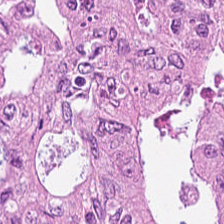Predominantly adenocarcinoma.
